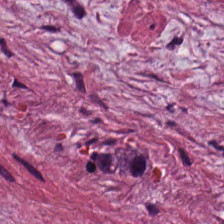Stain: hematoxylin and eosin.
Classification: desmoplastic stroma.
